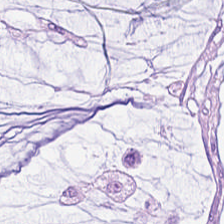224×224 pixel tile · 0.5 microns per pixel · H&E stain. This patch shows extracellular mucin.
